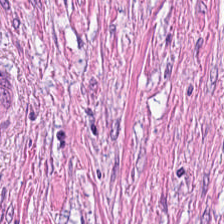H&E-stained tissue section — Tissue class = tumor-associated stroma.
